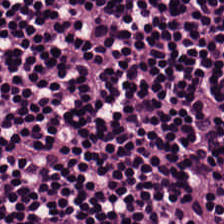0.5 µm per pixel · 224×224 px tile · hematoxylin-and-eosin stained section.
Q: What is shown here?
A: The field shows lymphocyte aggregate.
